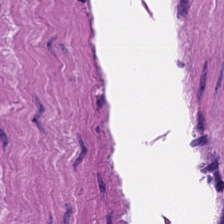Q: Classify this patch.
A: The field shows muscularis.
